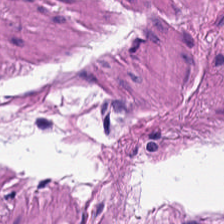Hematoxylin and eosin.
{"tissue_type": "smooth-muscle tissue"}
